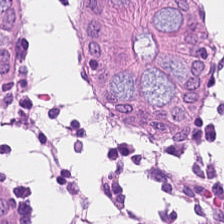Histology — non-neoplastic colon mucosa.
